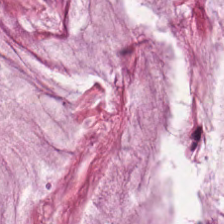Stain: H&E stain.
Tile size: 224×224 pixel tile.
Preparation: FFPE tissue section.
Tissue type: extracellular mucin.
